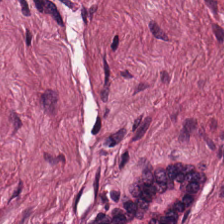H&E; 224×224 px patch. Classification — desmoplastic stroma.
